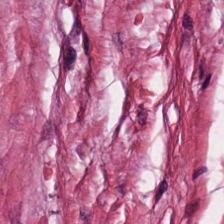H&E-stained tissue section — Tissue: tumor stroma.
